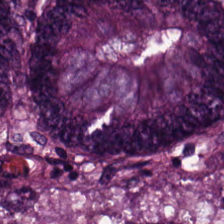H&E-stained tissue section. Impression → adenocarcinoma.
